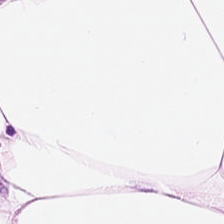H&E-stained tissue section · 224×224 px tile. Tissue = adipocytes.
